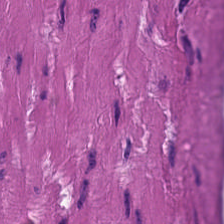H&E stain — Finding → smooth muscle.
